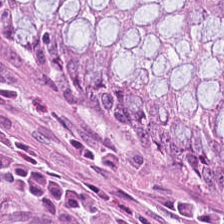Hematoxylin-and-eosin stained section.
Predominantly normal colon mucosa.
